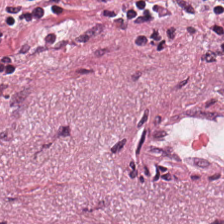Q: What type of tissue is this?
A: This is tumor-associated stroma.
